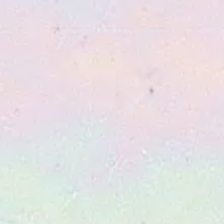{"content": "background (no tissue)"}
